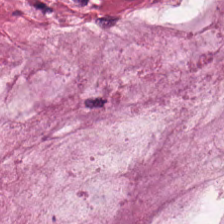{"tissue_type": "mucin"}
